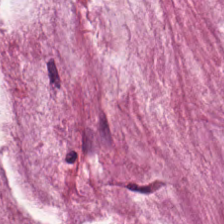Hematoxylin and eosin. Formalin-fixed paraffin-embedded section.
Q: What is shown here?
A: It is mucin.
